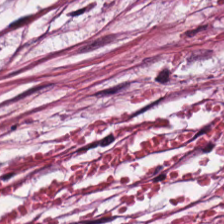FFPE · hematoxylin and eosin — Q: Identify the tissue.
A: The field shows tumor stroma.
